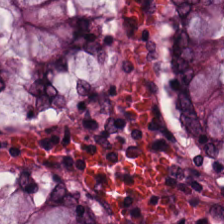Predominant tissue = normal colon mucosa.
